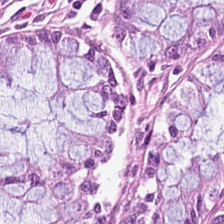Hematoxylin-and-eosin stained section. 0.5 µm per pixel. Showing normal colonic mucosa.
